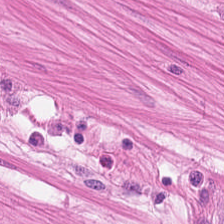Histology — muscularis.
